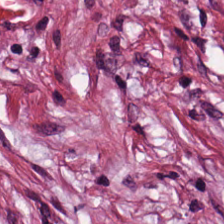Hematoxylin and eosin. The tissue class is tumor-associated stroma.
